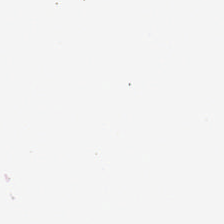H&E-stained tissue section · formalin-fixed paraffin-embedded section — Empty field — background (no tissue).
